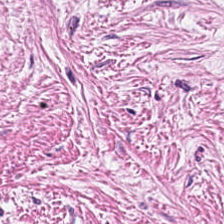H&E — Histology — tumor-associated stroma.
